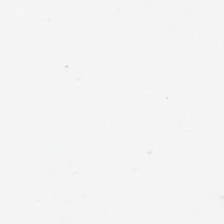H&E-stained tissue section · FFPE tissue section — Q: Classify this patch.
A: The field shows background.
